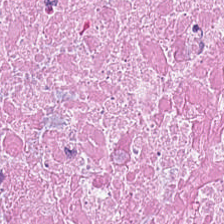Hematoxylin-and-eosin stained section · 224×224 pixel tile — Necrotic debris.
